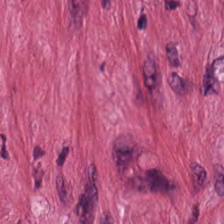H&E — tumor-associated stroma.
